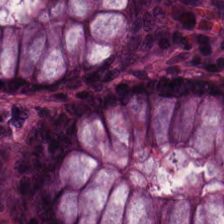Hematoxylin and eosin. Brightfield. 0.5 µm per pixel.
The predominant tissue is normal colonic mucosa.
